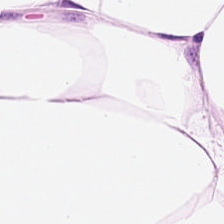Hematoxylin-and-eosin stained section — Q: What does this patch show?
A: It is adipose tissue.
